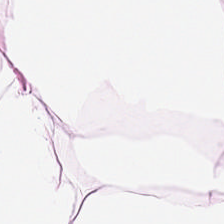Stain: H&E stain.
Tile size: 224×224 px patch.
Classification: adipocytes.
